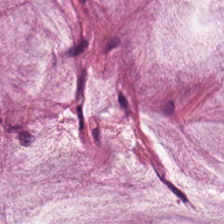Stain: H&E-stained tissue section.
Predominant tissue: extracellular mucin.
